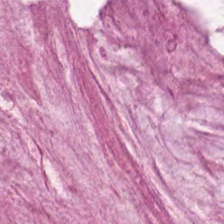H&E-stained tissue section. Mucus.
